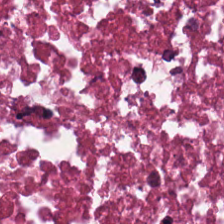H&E stain — Q: What is shown in this field?
A: This is necrotic debris.
